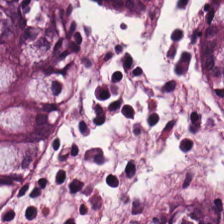H&E-stained tissue section. The tissue here is benign colonic mucosa.
